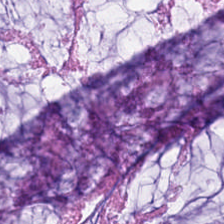224×224 px patch · FFPE tissue section · H&E stain. Q: What type of tissue is this?
A: This is extracellular mucin.
